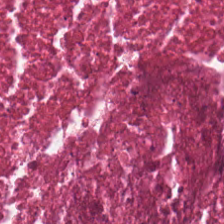Stain: H&E.
Tissue class: necrotic debris.
